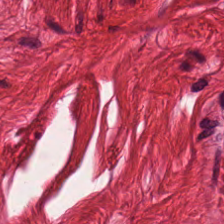H&E-stained tissue section — Smooth-muscle tissue.
